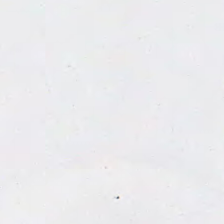H&E stain; brightfield microscopy; 0.5 microns per pixel. {"content": "background"}
